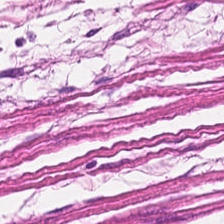Stain: H&E.
Tissue class: muscularis.
